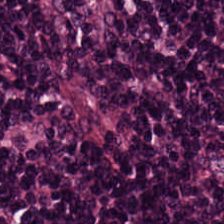224×224 px tile. H&E-stained tissue section. Lymphoid infiltrate.
